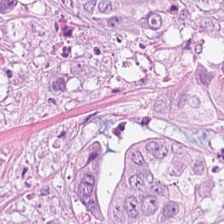H&E patch showing tumor epithelium.
